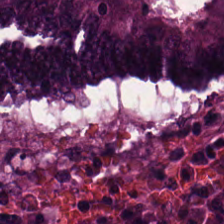Hematoxylin and eosin — The tissue here is adenocarcinoma.
